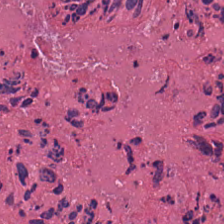Hematoxylin and eosin. Tissue class: necrotic debris.
